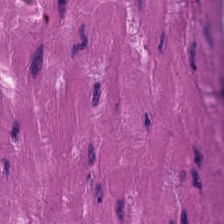Impression → muscularis.
